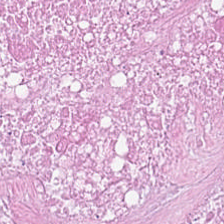Classification — debris.
